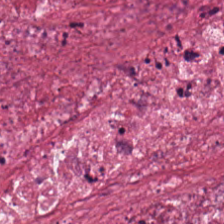{"tissue_type": "desmoplastic stroma"}
